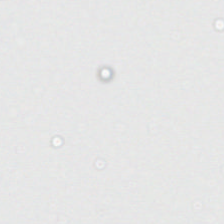H&E stain — Q: Classify this patch.
A: It is background (no tissue).
